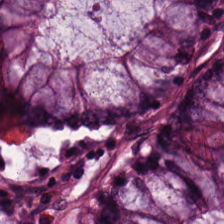Hematoxylin-and-eosin stained section.
Histology → non-neoplastic colon mucosa.
